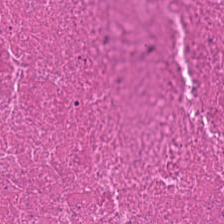Hematoxylin and eosin — Tissue = debris.
